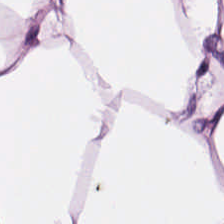Brightfield microscopy. 224×224 pixel tile. Hematoxylin-and-eosin stained section — The tissue type is adipose tissue.
